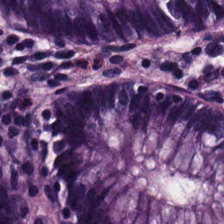0.5 µm/px; hematoxylin-and-eosin stained section — Predominant tissue — normal colonic mucosa.
